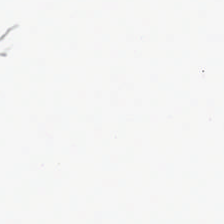FFPE tissue section; H&E-stained tissue section. Empty field — empty background.
